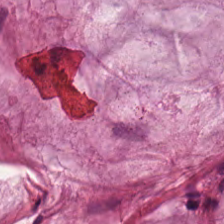H&E stain; 20× equivalent magnification.
Tissue: mucin.
